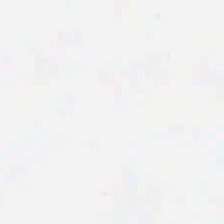224×224 pixel tile. 0.5 microns per pixel. H&E — No tissue present; background only.
